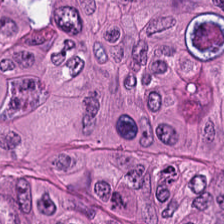Q: What tissue type is shown here?
A: It is adenocarcinoma.
